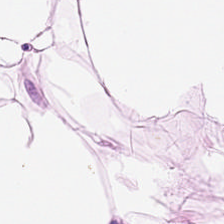Tissue class: adipose tissue.
